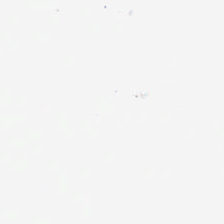Hematoxylin and eosin · FFPE tissue section.
Q: What does this patch show?
A: It is no tissue.
